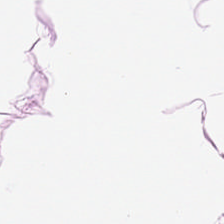H&E-stained tissue section — Showing adipocytes.
